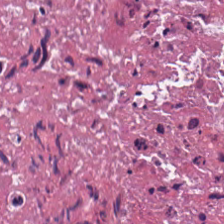Hematoxylin and eosin. The tissue here is necrotic debris.
